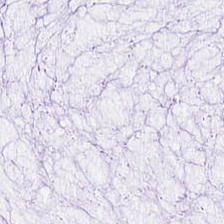H&E-stained tissue section.
The predominant tissue is extracellular mucin.
